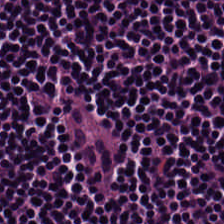Hematoxylin-and-eosin stained section · WSI patch · 224×224 px tile. The predominant tissue is lymphoid infiltrate.
